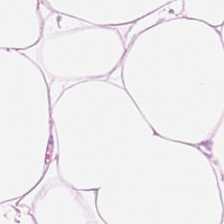Hematoxylin-and-eosin stained section.
The classification is adipocytes.
